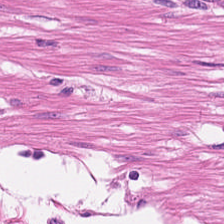Histology — smooth muscle.
